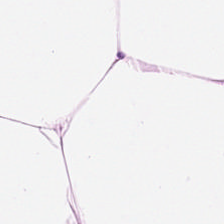Predominantly adipose tissue.
